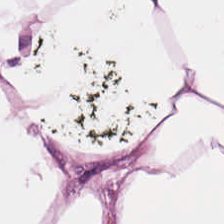This patch shows fat tissue.
